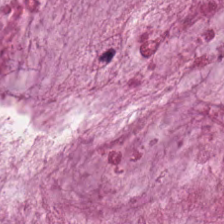H&E patch showing extracellular mucin.
